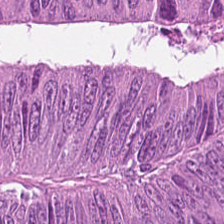H&E stain · whole-slide-image patch. Predominant tissue: colorectal adenocarcinoma.
